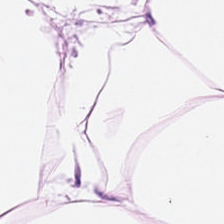Hematoxylin and eosin. Q: What type of tissue is this?
A: The field shows adipocytes.
